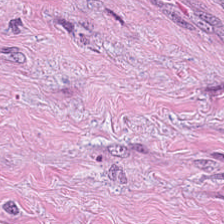Hematoxylin-and-eosin section: tumor stroma.
